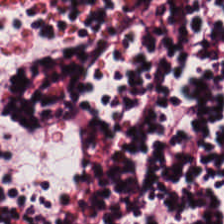H&E stain — {"tissue_type": "lymphocyte aggregate"}
